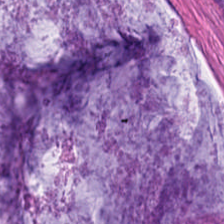Q: What is the predominant tissue type?
A: This is mucin.
